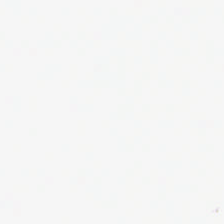H&E-stained tissue section — Background — no tissue in this field.
